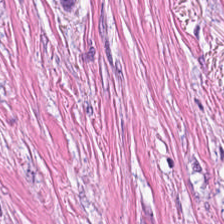Hematoxylin-and-eosin stained section. This field is desmoplastic stroma.
